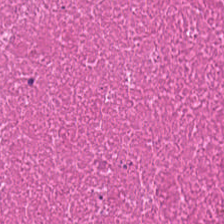The tissue type is cellular debris.
